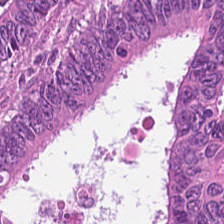Q: What tissue type is shown here?
A: It is colorectal adenocarcinoma.
